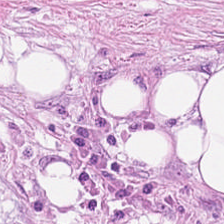Q: Classify this patch.
A: Tumor stroma.
